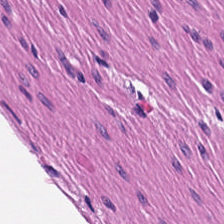Stain: H&E.
Tissue class: smooth muscle.
